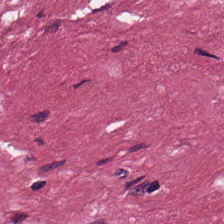FFPE. Hematoxylin-and-eosin stained section. 224×224 pixel tile — Q: What is shown here?
A: The field shows tumor stroma.
